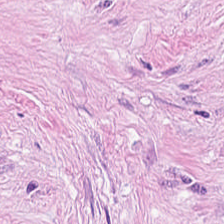0.5 µm per pixel. H&E-stained tissue section. Tissue class — tumor stroma.
